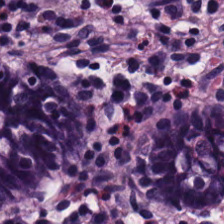Stain: hematoxylin and eosin.
Tile size: 224×224 px tile.
Predominant tissue: non-neoplastic colon mucosa.
